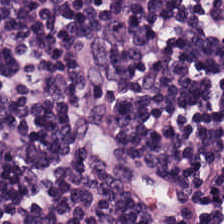20× equivalent magnification · H&E. This patch shows lymphocytic infiltrate.
